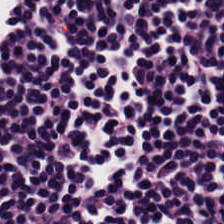The classification is lymphocytes.
